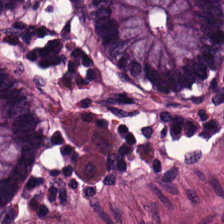H&E stain.
Showing benign colonic mucosa.
